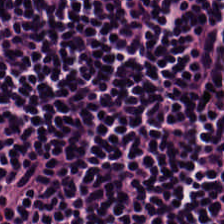Hematoxylin-and-eosin stained section. Showing lymphoid infiltrate.
